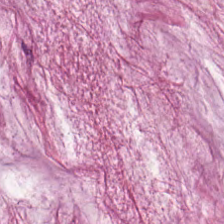Showing mucus.
